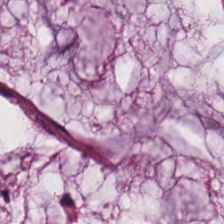H&E stain. Brightfield microscopy — Q: What does this patch show?
A: This is mucin.
